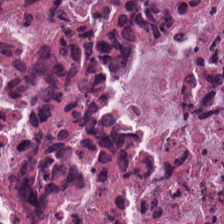Finding → cellular debris.
